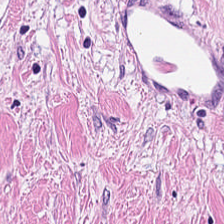Q: Classify this patch.
A: Desmoplastic stroma.
